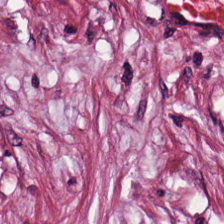224×224 px tile; FFPE tissue section; hematoxylin-and-eosin stained section.
This patch shows tumor-associated stroma.
